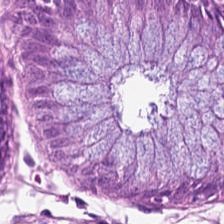Q: What tissue type is shown here?
A: It is benign colonic mucosa.
